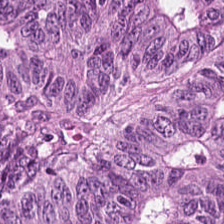Brightfield · 0.5 µm/px · H&E. This field is colorectal adenocarcinoma epithelium.
